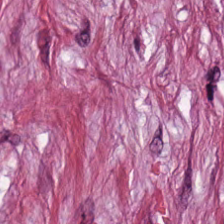Finding → cancer-associated stroma.
